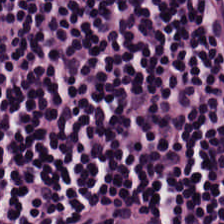H&E-stained tissue section.
Predominantly lymphocytes.
